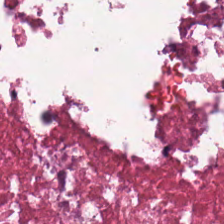0.5 µm/px. H&E stain — Q: What tissue type is shown here?
A: It is cellular debris.
